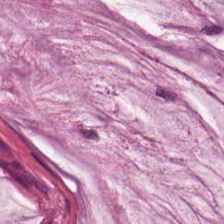Formalin-fixed paraffin-embedded section. H&E stain. The tissue here is mucin.
